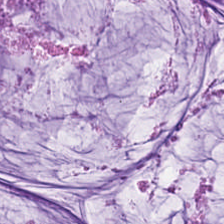H&E. This patch shows mucus.
